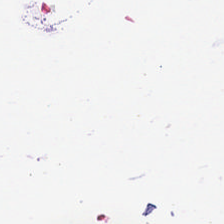H&E. 224×224 px patch.
Content = no tissue.
